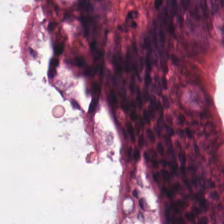Stain: H&E stain.
Classification: normal colon mucosa.
